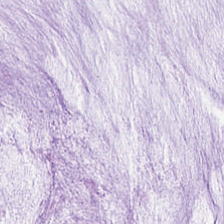Hematoxylin and eosin — Q: What is shown in this field?
A: The field shows mucus.
